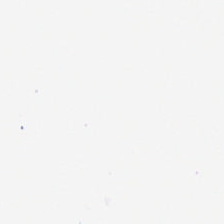Finding → background.
